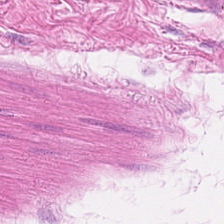20× equivalent magnification · hematoxylin and eosin · FFPE. This patch shows smooth muscle.
